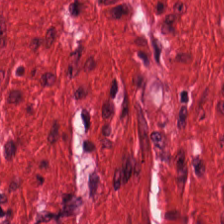Whole-slide-image patch; H&E stain; 224×224 px tile — Muscularis.
